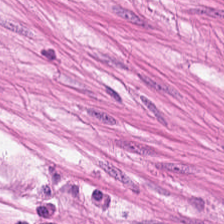H&E-stained tissue section — The predominant tissue is smooth muscle.
